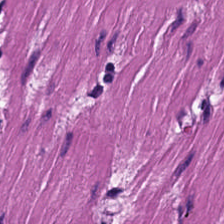H&E-stained tissue section — Q: What is the predominant tissue type?
A: The field shows smooth muscle.
